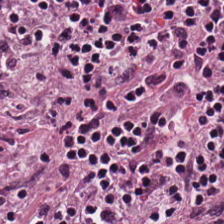Formalin-fixed paraffin-embedded section. Hematoxylin-and-eosin stained section. 224×224 pixel tile — Histology — lymphoid infiltrate.
